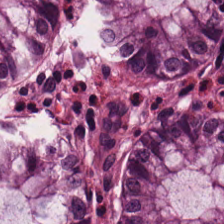Brightfield microscopy. Hematoxylin-and-eosin stained section — The predominant tissue is normal colonic mucosa.
